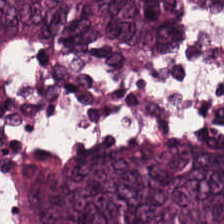H&E-stained tissue section.
Impression → malignant epithelium.
